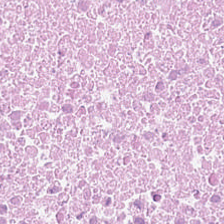Stain: H&E.
Preparation: FFPE.
Tissue type: necrotic debris.
